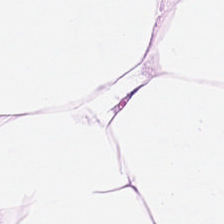Classification: adipocytes.
